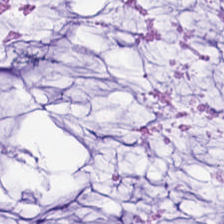Hematoxylin and eosin · whole-slide-image patch · FFPE tissue section. Finding — mucin.
